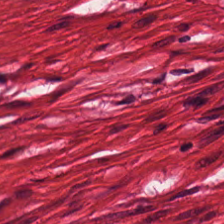Brightfield microscopy; H&E stain — {"tissue_type": "smooth-muscle tissue"}
